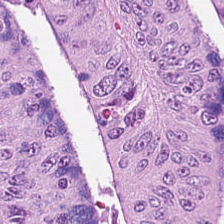Classification — colorectal adenocarcinoma epithelium.
